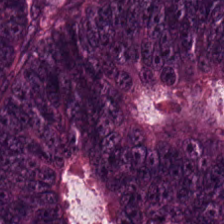{"tissue_type": "malignant epithelium"}
